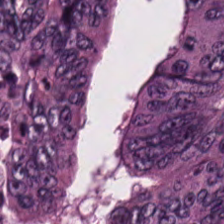H&E-stained tissue section. The predominant tissue is tumor epithelium.
